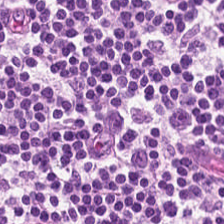H&E; 224×224 pixel tile.
Tissue — lymphoid infiltrate.
